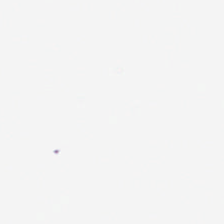Hematoxylin-and-eosin stained section · FFPE tissue section — This field is background (no tissue).
